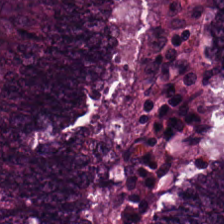Q: What does this patch show?
A: The field shows malignant epithelium.
